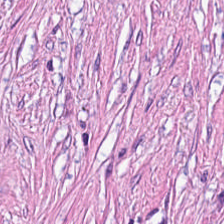Brightfield · H&E-stained tissue section.
The tissue here is tumor-associated stroma.
